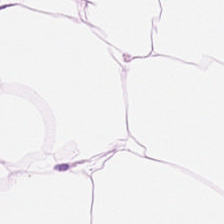FFPE. H&E-stained tissue section. Predominantly fat tissue.
